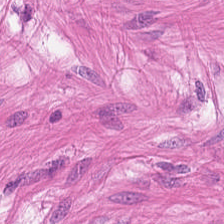H&E.
The predominant tissue is smooth muscle.
